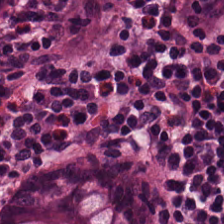H&E-stained tissue section — Classification = normal colon mucosa.
